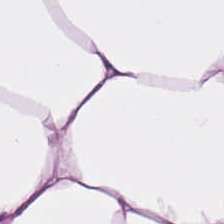H&E stain; 224×224 px tile. Tissue type = adipose.
